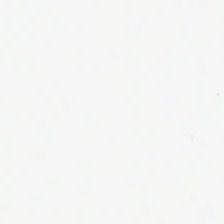H&E stain. Empty field — no tissue.
